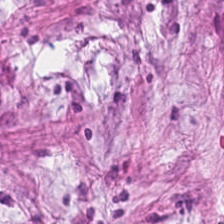224×224 px patch; whole-slide-image patch; H&E-stained tissue section.
Histology → cancer-associated stroma.
